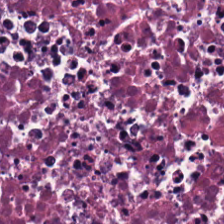H&E-stained tissue section. Predominant tissue — cellular debris.
